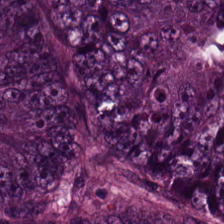H&E stain · 224×224 px tile — The tissue here is tumor epithelium.
